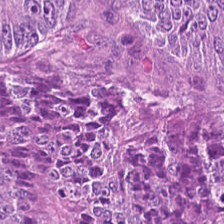Classification = adenocarcinoma.
